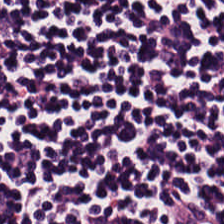FFPE; 224×224 px patch; hematoxylin-and-eosin stained section — Histology → lymphoid infiltrate.
